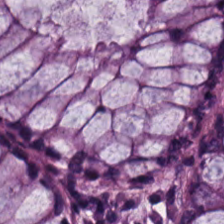Hematoxylin-and-eosin stained section; brightfield microscopy.
Tissue type = normal colon mucosa.
